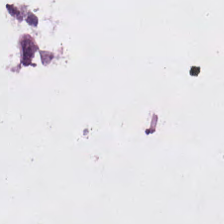H&E-stained tissue section · 224×224 px patch · 0.5 µm per pixel — Field content — background.
